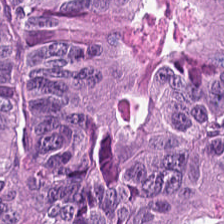H&E-stained tissue section.
Tissue class: colorectal adenocarcinoma epithelium.
